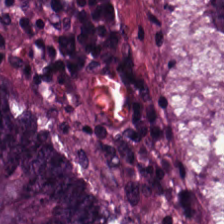Tissue class = tumor epithelium.
